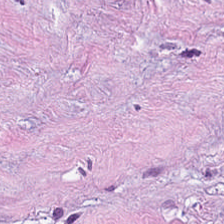The predominant tissue is cancer-associated stroma.
